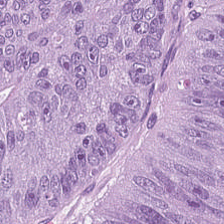Finding — malignant epithelium.
